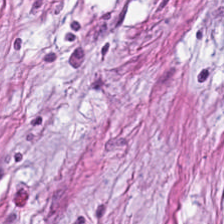Tumor-associated stroma.
